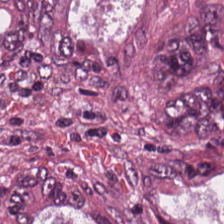Hematoxylin-and-eosin stained section.
Q: What is shown here?
A: Tumor epithelium.
